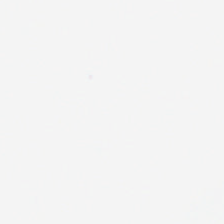Hematoxylin and eosin — Background.
